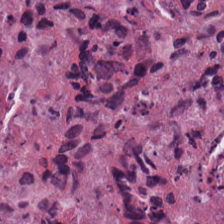H&E. WSI patch.
Q: Identify the tissue.
A: This is necrotic debris.
